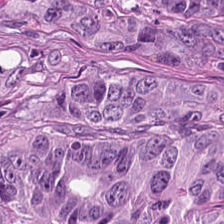Hematoxylin and eosin. This field is colorectal adenocarcinoma epithelium.
